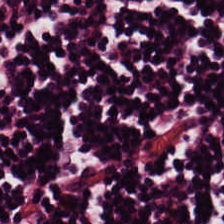H&E stain. Lymphoid infiltrate.
